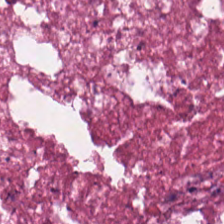0.5 µm per pixel. H&E-stained tissue section. Tissue type: necrotic debris.
